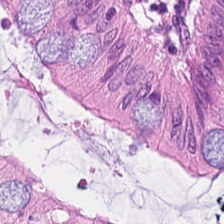H&E stain. The classification is benign colonic mucosa.
